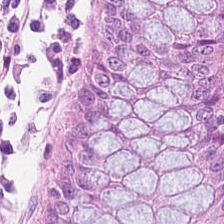H&E stain; formalin-fixed paraffin-embedded section.
Predominantly normal colonic mucosa.
